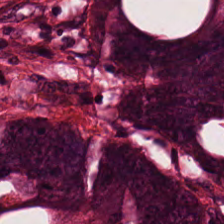Brightfield · H&E — Predominantly colorectal adenocarcinoma epithelium.
